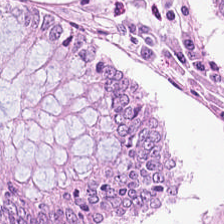224×224 px patch. H&E stain. Brightfield microscopy — Predominantly benign colonic mucosa.
